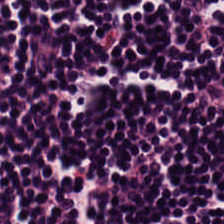FFPE · H&E-stained tissue section.
This patch shows lymphocytic infiltrate.
